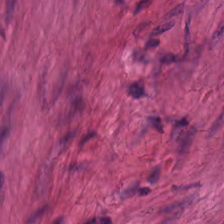H&E-stained tissue section.
Showing muscularis.
